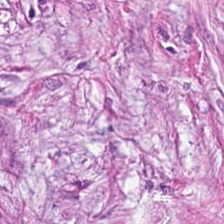Brightfield microscopy; hematoxylin and eosin; formalin-fixed paraffin-embedded section.
This patch shows tumor stroma.
